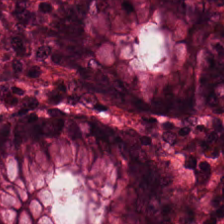H&E-stained tissue section showing normal colon mucosa.
